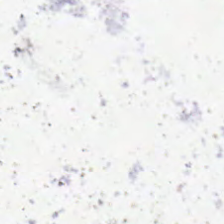H&E stain.
This patch shows empty background.
